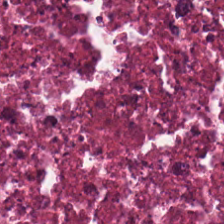Stain: hematoxylin-and-eosin stained section.
Tissue: cellular debris.
